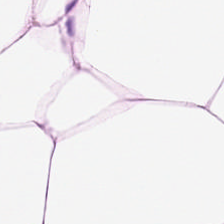WSI patch; H&E stain. Histology → fat tissue.
